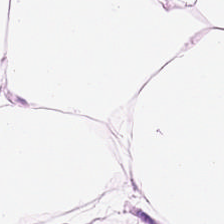H&E stain; 224×224 px tile. Predominant tissue: fat tissue.
